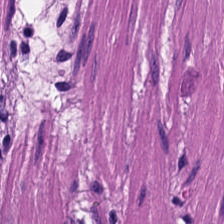224×224 px tile · hematoxylin-and-eosin stained section — Tissue type — muscularis.
